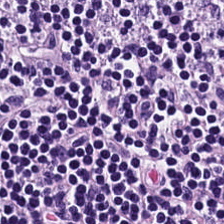Stain: H&E stain.
Tissue class: lymphocyte aggregate.
